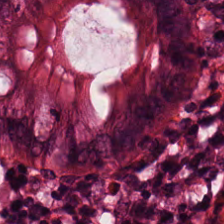Whole-slide-image patch; FFPE; hematoxylin-and-eosin stained section.
This patch shows non-neoplastic colon mucosa.
